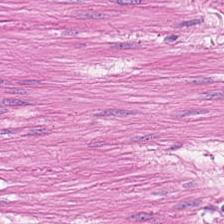Hematoxylin and eosin — Showing smooth-muscle tissue.
